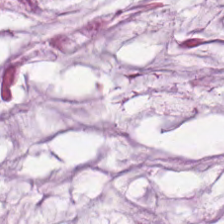Hematoxylin-and-eosin stained section. 0.5 microns per pixel — Finding → extracellular mucin.
